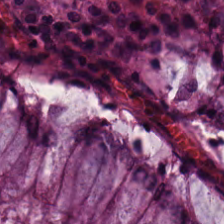H&E-stained tissue section; 20× equivalent magnification.
The predominant tissue is non-neoplastic colon mucosa.
